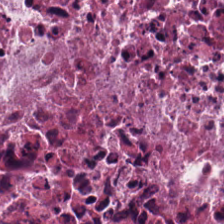Classification — debris.
